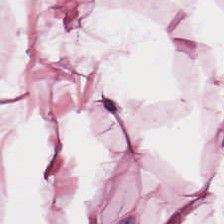FFPE. H&E-stained tissue section. 20× equivalent magnification. Adipocytes.
